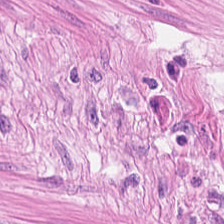Stain: hematoxylin-and-eosin stained section.
Preparation: formalin-fixed paraffin-embedded section.
Tile size: 224×224 pixel tile.
Classification: smooth muscle.
